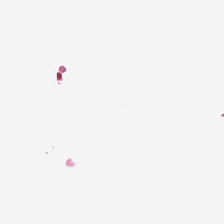Hematoxylin-and-eosin stained section; FFPE tissue section. Q: Classify this patch.
A: Background (no tissue).
